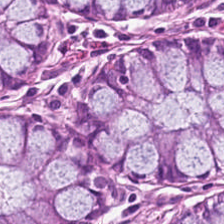H&E-stained tissue section showing normal colonic mucosa.
